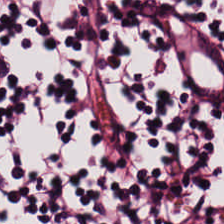Whole-slide-image patch · 224×224 pixel tile · H&E-stained tissue section. Tissue: lymphoid infiltrate.
